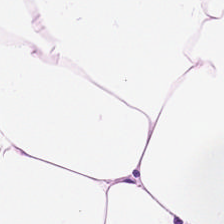H&E-stained tissue section.
Finding → fat tissue.
